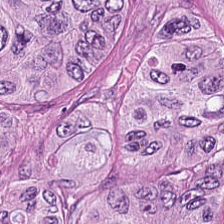Tissue — adenocarcinoma.
